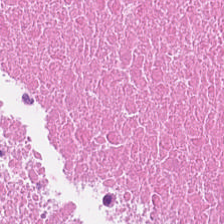Stain: hematoxylin and eosin.
Tile size: 224×224 px patch.
Preparation: formalin-fixed paraffin-embedded section.
Tissue type: necrotic debris.
